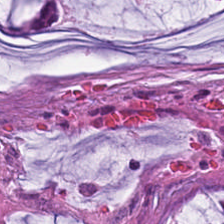Hematoxylin-and-eosin stained section. Q: Classify this patch.
A: The field shows extracellular mucin.
